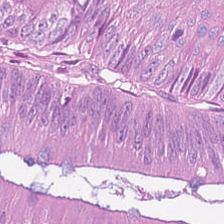0.5 µm/px; H&E. Classification = colorectal adenocarcinoma.
